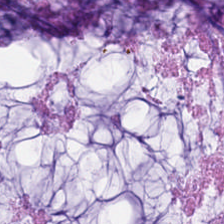H&E-stained tissue section. 224×224 px patch. {"tissue_type": "mucus"}
